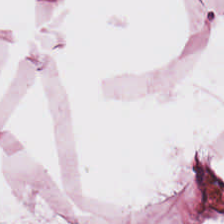Brightfield; 224×224 px tile; H&E-stained tissue section.
Adipose.
